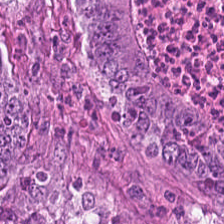H&E; FFPE.
The tissue type is malignant epithelium.
